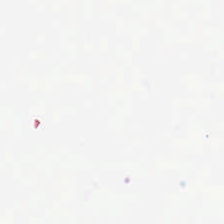Q: What does this patch show?
A: It is background.
